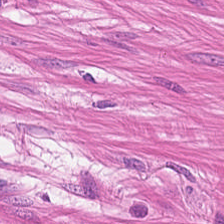Brightfield microscopy. H&E stain — The predominant tissue is smooth muscle.
